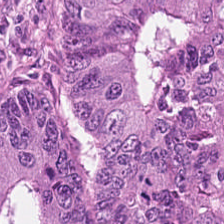Hematoxylin-and-eosin stained section. Predominantly adenocarcinoma.
